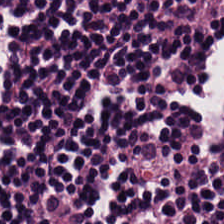H&E. Whole-slide-image patch. Predominant tissue = lymphocytes.
